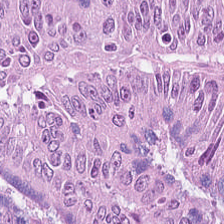Stain: H&E stain.
Resolution: 0.5 µm per pixel.
Tissue type: malignant epithelium.
